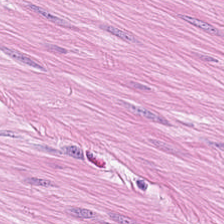H&E stain.
Predominantly smooth muscle.
